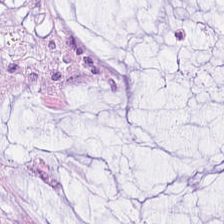Stain: H&E stain.
Tissue class: mucin.
